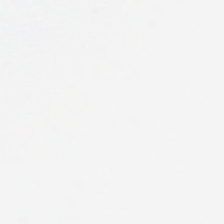Stain: H&E-stained tissue section.
Field content: no tissue.
